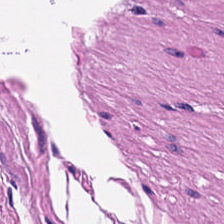WSI patch · FFPE · H&E stain — Predominantly smooth muscle.
